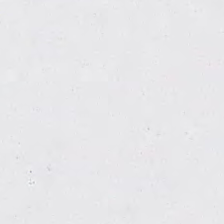H&E · 0.5 µm per pixel — Empty background.
